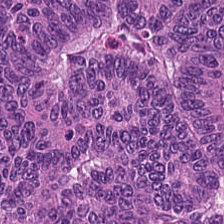H&E-stained tissue section.
This field is colorectal adenocarcinoma.
